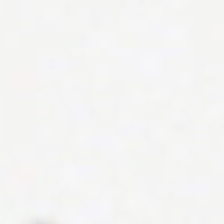Empty field — no tissue.
